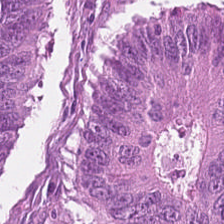H&E. 224×224 px tile — The tissue is adenocarcinoma.
